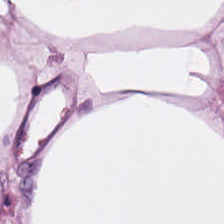224×224 px patch; H&E; 0.5 µm per pixel.
Q: Classify this patch.
A: This is adipose.
